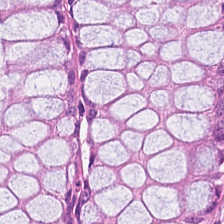Brightfield. H&E — Tissue type = non-neoplastic colon mucosa.
